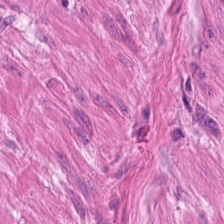H&E · whole-slide-image patch · 224×224 px tile — {"tissue_type": "muscularis"}
